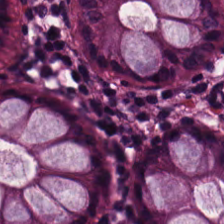H&E patch showing normal colonic mucosa.
